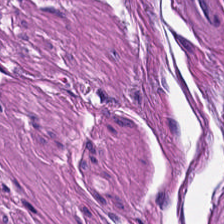H&E stain. Tissue — muscularis.
